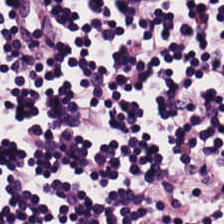{"tissue_type": "lymphocytic infiltrate"}
